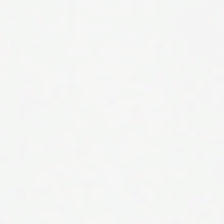Brightfield microscopy; FFPE tissue section; H&E. Q: What does this patch show?
A: This is background (no tissue).
